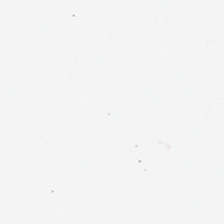224×224 px tile; 0.5 µm per pixel; H&E stain. Showing adipocytes.
